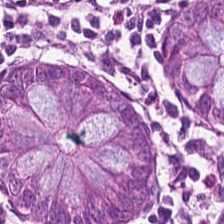Hematoxylin-and-eosin stained section. Predominantly benign colonic mucosa.
